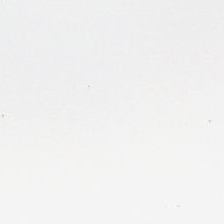Empty background.
